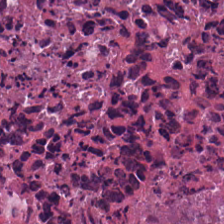Hematoxylin and eosin. Formalin-fixed paraffin-embedded section. Q: What is shown in this field?
A: This is necrotic debris.
